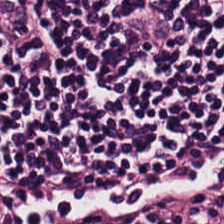Hematoxylin-and-eosin stained section.
Predominantly lymphocyte aggregate.
